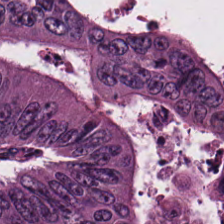Hematoxylin and eosin · 224×224 px tile. Impression → colorectal adenocarcinoma epithelium.
